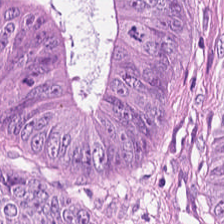Hematoxylin and eosin · 0.5 µm per pixel. Tissue: malignant epithelium.
